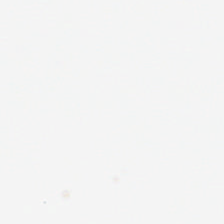Content — background.
